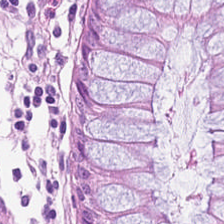This field is normal colonic mucosa.
